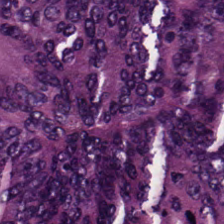Hematoxylin and eosin. Q: What tissue type is shown here?
A: This is colorectal adenocarcinoma.
